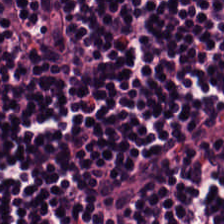Stain: H&E-stained tissue section.
Tissue: lymphocytes.
